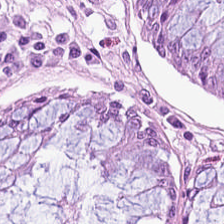H&E-stained tissue section. 0.5 µm per pixel. 224×224 px patch — Showing non-neoplastic colon mucosa.
